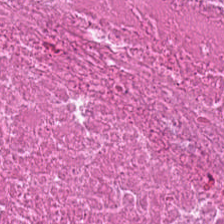0.5 µm/px; H&E stain; FFPE tissue section. This patch shows debris.
